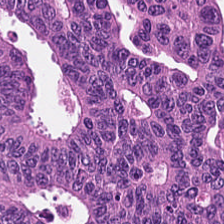Stain: H&E.
Tile size: 224×224 px patch.
Resolution: 0.5 µm/px.
Tissue: adenocarcinoma.
